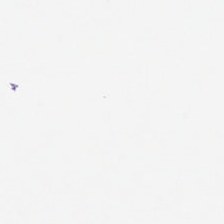Hematoxylin and eosin. Classification — no tissue.
